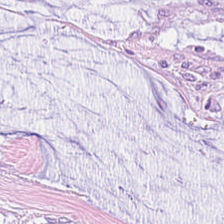H&E-stained tissue section. The predominant tissue is extracellular mucin.
